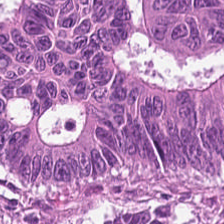Hematoxylin and eosin.
This patch shows colorectal adenocarcinoma.
